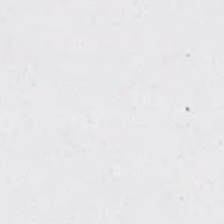H&E-stained tissue section — Histology → background (no tissue).
